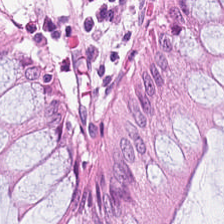Hematoxylin and eosin. WSI patch.
Q: What does this patch show?
A: The field shows normal colonic mucosa.
